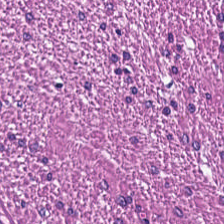H&E · brightfield · 224×224 px patch.
Q: What tissue type is shown here?
A: Smooth-muscle tissue.
